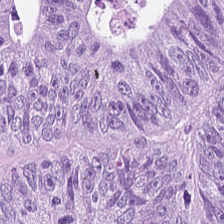The predominant tissue is adenocarcinoma.
